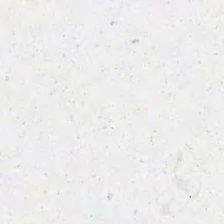Hematoxylin and eosin. Q: What does this patch show?
A: The field shows no tissue.
